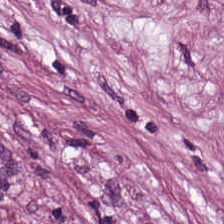Whole-slide-image patch. H&E.
Tissue = tumor-associated stroma.
